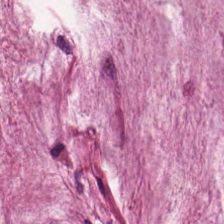0.5 µm per pixel. H&E. FFPE tissue section. Impression → extracellular mucin.
